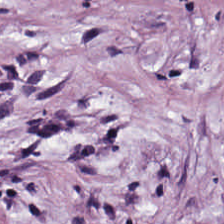H&E stain. Predominant tissue: desmoplastic stroma.
